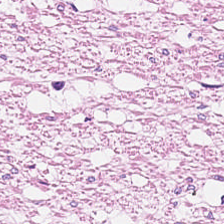H&E.
The tissue is muscularis.
